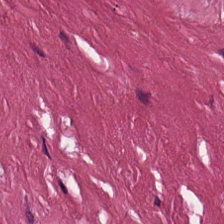Brightfield; H&E; 224×224 px patch.
Predominant tissue: tumor-associated stroma.
